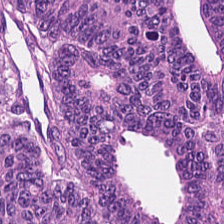H&E. Tissue: colorectal adenocarcinoma epithelium.
